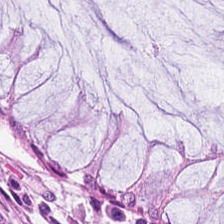FFPE. H&E stain. Showing normal colon mucosa.
